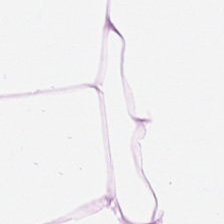Predominantly adipose.
